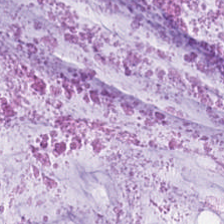Hematoxylin-and-eosin stained section — Histology — mucin.
